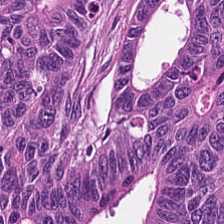Classification = tumor epithelium.
